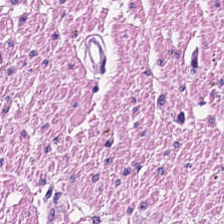Hematoxylin-and-eosin stained section — Finding → smooth-muscle tissue.
